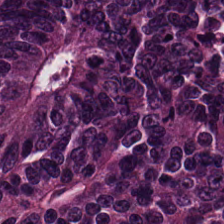FFPE tissue section. H&E.
The tissue here is colorectal adenocarcinoma.
